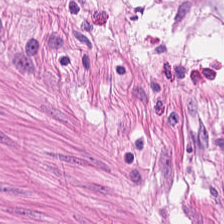H&E. Q: What is the predominant tissue type?
A: It is smooth-muscle tissue.
